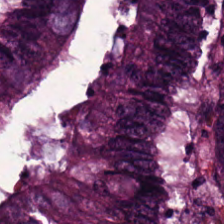H&E-stained tissue section. Predominantly colorectal adenocarcinoma epithelium.
